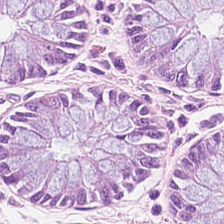H&E stain. 0.5 µm/px. This patch shows normal colon mucosa.
